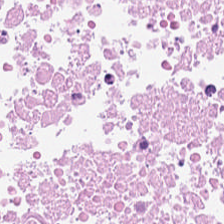Brightfield · hematoxylin-and-eosin stained section.
Tissue class — cellular debris.
